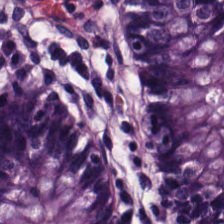224×224 px patch · hematoxylin-and-eosin stained section. Finding — normal colon mucosa.
